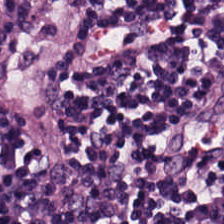H&E-stained tissue section.
The tissue class is lymphocyte aggregate.
